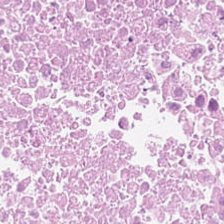The predominant tissue is debris.
